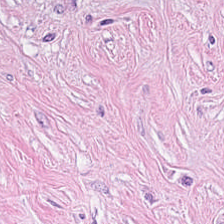H&E stain.
The predominant tissue is desmoplastic stroma.
